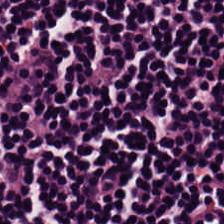H&E — lymphocytic infiltrate.
